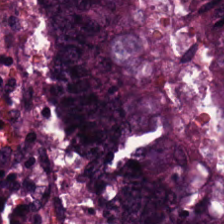Brightfield microscopy. H&E. This field is malignant epithelium.
